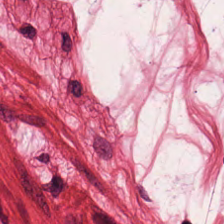Impression — muscularis.
